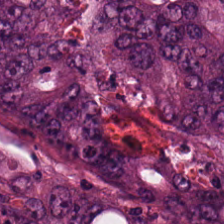224×224 px patch. Hematoxylin-and-eosin stained section — Tissue type — adenocarcinoma.
